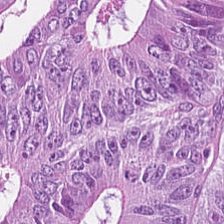H&E-stained tissue section.
Histology — malignant epithelium.
